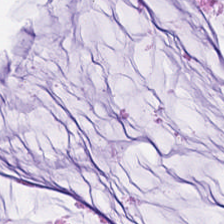Brightfield · hematoxylin-and-eosin stained section. Predominantly extracellular mucin.
